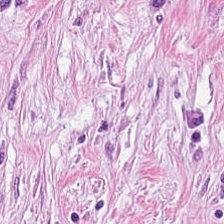H&E-stained tissue section. Brightfield. Predominantly desmoplastic stroma.
